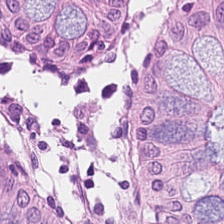Finding — normal colonic mucosa.
